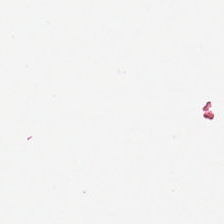This field is background (no tissue).
